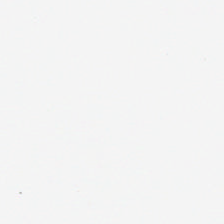Stain: hematoxylin and eosin.
Resolution: 0.5 microns per pixel.
Acquisition: whole-slide-image patch.
Classification: background.
